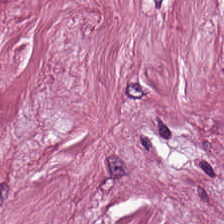Hematoxylin and eosin.
Tissue — cancer-associated stroma.
